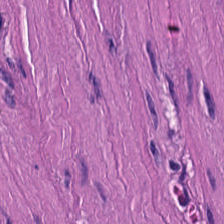Tissue type: smooth-muscle tissue.
